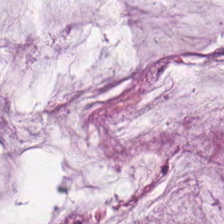Stain: hematoxylin-and-eosin stained section.
Resolution: 0.5 µm per pixel.
Tissue class: mucus.
